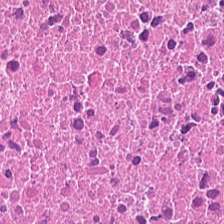Stain: H&E-stained tissue section.
Tissue type: necrotic debris.
